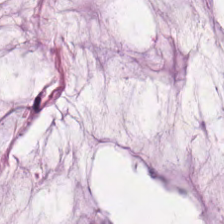Hematoxylin and eosin.
The predominant tissue is extracellular mucin.
